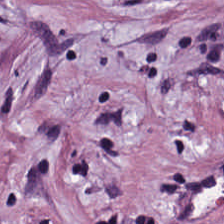H&E stain.
This patch shows tumor stroma.
